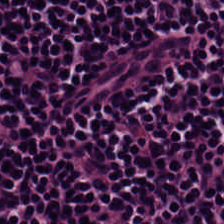H&E — This field is lymphocyte aggregate.
